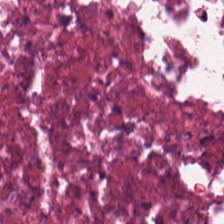Tissue: debris.
